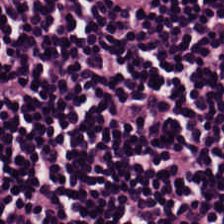Hematoxylin-and-eosin stained section — The predominant tissue is lymphoid infiltrate.
